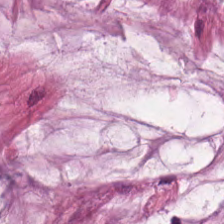H&E patch showing mucus.
